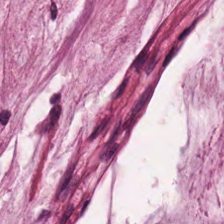0.5 µm/px · hematoxylin-and-eosin stained section. Predominantly mucus.
